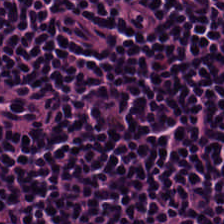WSI patch · H&E. Q: What type of tissue is this?
A: Lymphoid infiltrate.
